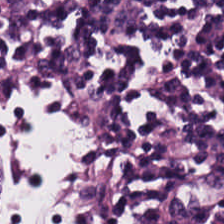Whole-slide-image patch · H&E-stained tissue section — Impression — lymphocyte aggregate.
